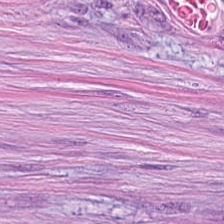H&E-stained tissue section.
The tissue type is cancer-associated stroma.
